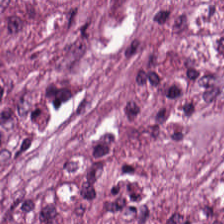Hematoxylin and eosin.
Q: What does this patch show?
A: Tumor stroma.
